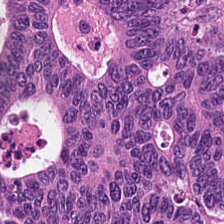224×224 px tile. H&E-stained tissue section.
Q: What type of tissue is this?
A: It is malignant epithelium.
